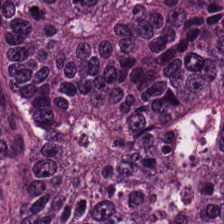H&E.
Q: What tissue type is shown here?
A: This is malignant epithelium.
